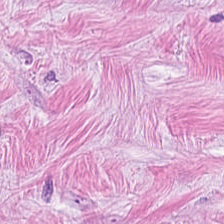Hematoxylin-and-eosin stained section. Formalin-fixed paraffin-embedded section. 0.5 µm/px. Q: What tissue type is shown here?
A: It is tumor-associated stroma.
